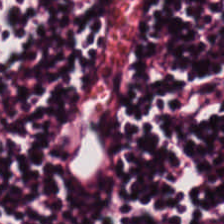H&E-stained tissue section.
Q: What type of tissue is this?
A: This is lymphocyte aggregate.
